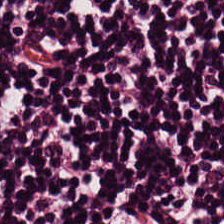H&E · 224×224 px tile — Showing lymphoid infiltrate.
